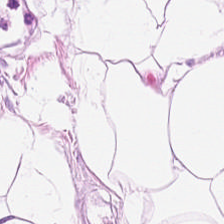224×224 px tile; formalin-fixed paraffin-embedded section; H&E-stained tissue section.
Predominantly fat tissue.
